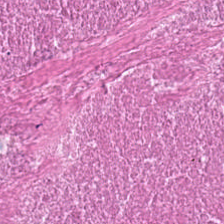The predominant tissue is cellular debris.
